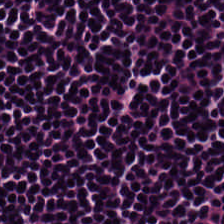0.5 µm per pixel; H&E stain; WSI patch.
This patch shows lymphocyte aggregate.
